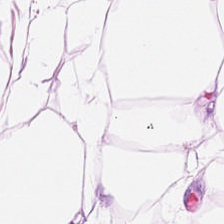Hematoxylin and eosin. 224×224 px patch.
{"tissue_type": "adipose"}
